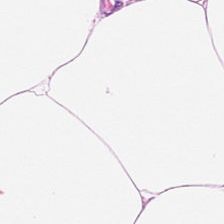0.5 µm per pixel. 224×224 px patch. H&E.
Predominantly adipose tissue.
